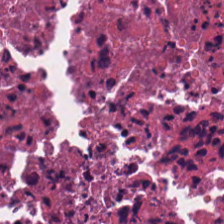Hematoxylin and eosin. Tissue = necrotic debris.
